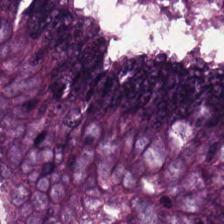H&E · 224×224 px patch. Predominant tissue = colorectal adenocarcinoma.
